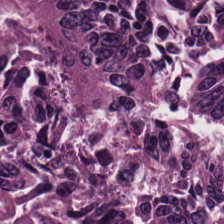H&E; FFPE tissue section — {"tissue_type": "colorectal adenocarcinoma"}
